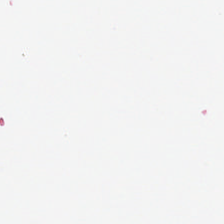Q: What is shown in this field?
A: The field shows background.
